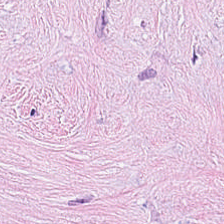H&E-stained tissue section. 20× equivalent magnification. Whole-slide-image patch.
Tissue type — tumor stroma.
